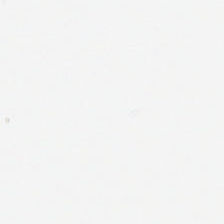{"content": "empty background"}
